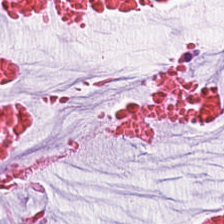H&E-stained tissue section — Tissue = extracellular mucin.
